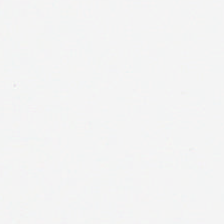H&E. {"content": "background (no tissue)"}
